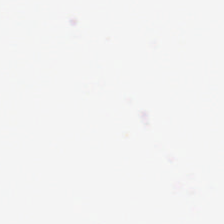Brightfield microscopy. Hematoxylin-and-eosin stained section. Finding → background (no tissue).
